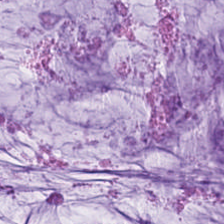The predominant tissue is extracellular mucin.
